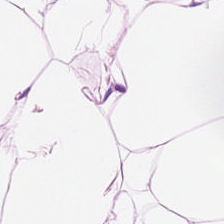Stain: H&E-stained tissue section.
Resolution: 0.5 µm/px.
Tissue: fat tissue.
